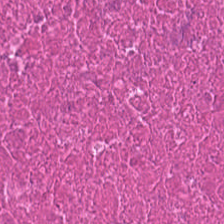Hematoxylin-and-eosin stained section; 224×224 px patch. Q: What type of tissue is this?
A: The field shows debris.
